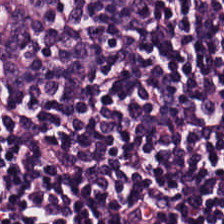224×224 pixel tile; H&E — Classification: lymphocyte aggregate.
